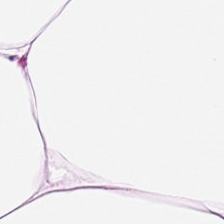Hematoxylin and eosin. This field is fat tissue.
